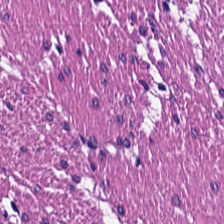H&E stain; 20× equivalent magnification; brightfield microscopy.
This field is muscularis.
